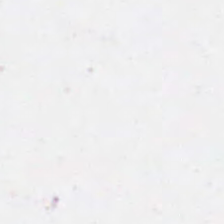Classification = no tissue.
